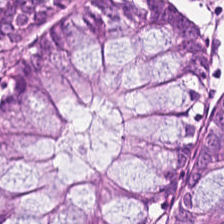H&E — The predominant tissue is normal colon mucosa.
